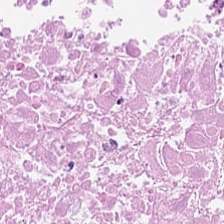H&E stain; formalin-fixed paraffin-embedded section. Histology → necrotic debris.
